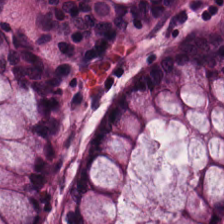Hematoxylin-and-eosin stained section. Tissue class — benign colonic mucosa.
